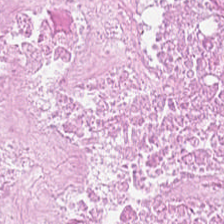H&E-stained tissue section — The predominant tissue is cellular debris.
